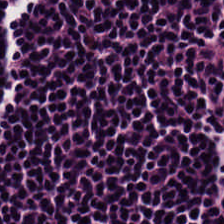Brightfield · hematoxylin and eosin. This patch shows lymphoid infiltrate.
